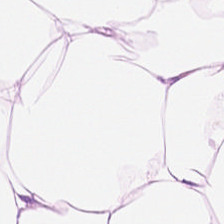224×224 px patch · H&E · 0.5 µm per pixel.
{"tissue_type": "adipose tissue"}
